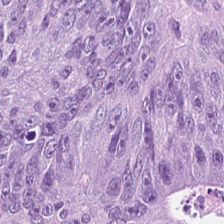Hematoxylin and eosin. 0.5 microns per pixel. {"tissue_type": "colorectal adenocarcinoma"}
